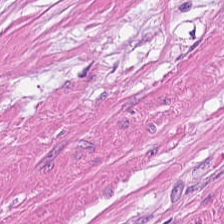H&E. Tissue type — smooth-muscle tissue.
